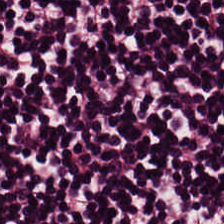224×224 pixel tile · 0.5 µm per pixel · H&E-stained tissue section. Histology → lymphocyte aggregate.
